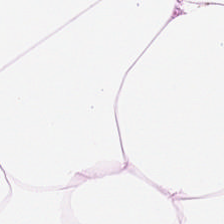Predominant tissue = adipose tissue.
